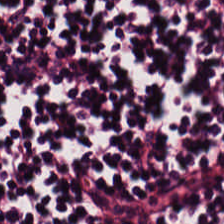H&E-stained tissue section. The predominant tissue is lymphocyte aggregate.
